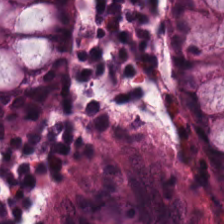Stain: H&E stain.
Tissue: normal colon mucosa.
